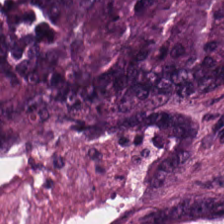FFPE tissue section; hematoxylin-and-eosin stained section — Impression → colorectal adenocarcinoma epithelium.
